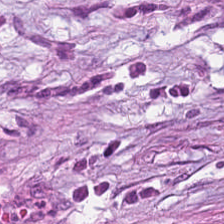Q: What tissue is shown?
A: The field shows tumor stroma.
